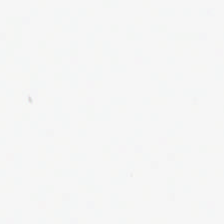H&E. This patch shows background (no tissue).
